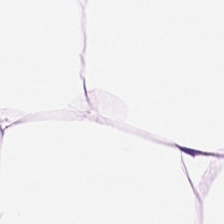FFPE; 224×224 pixel tile; H&E-stained tissue section. Q: What is shown here?
A: It is fat tissue.
